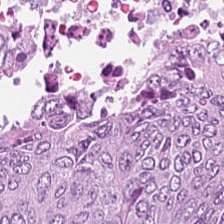H&E stain; FFPE.
Predominantly malignant epithelium.
